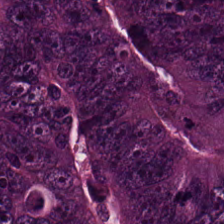Histology → colorectal adenocarcinoma.
